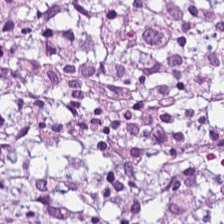H&E.
Cancer-associated stroma.
